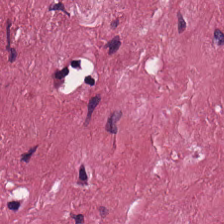H&E stain; 224×224 px patch. Showing cancer-associated stroma.
